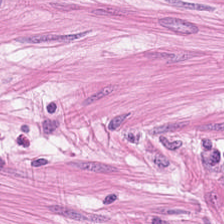Stain: H&E.
Tissue class: smooth-muscle tissue.
